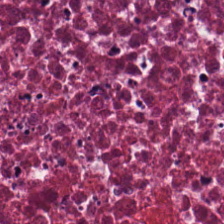Tissue = cellular debris.
